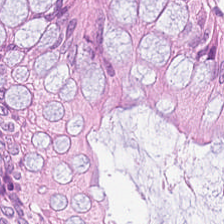Predominant tissue: non-neoplastic colon mucosa.
